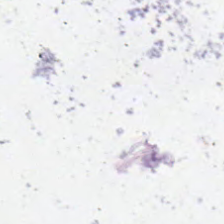No tissue.
